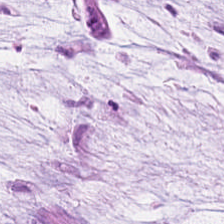Stain: hematoxylin and eosin.
Acquisition: whole-slide-image patch.
Preparation: FFPE.
Predominant tissue: mucin.
